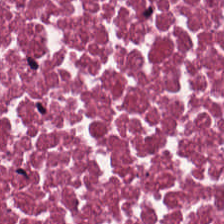H&E — cellular debris.
